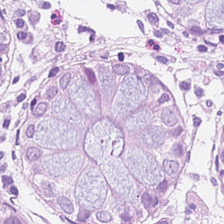Whole-slide-image patch; H&E; 224×224 px tile. Showing normal colon mucosa.
